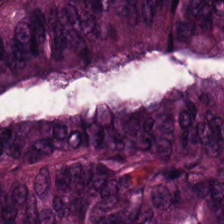224×224 pixel tile; H&E; 0.5 microns per pixel. The tissue class is adenocarcinoma.
